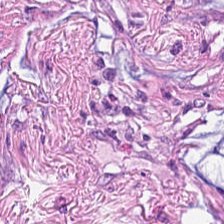Hematoxylin and eosin — This field is tumor stroma.
